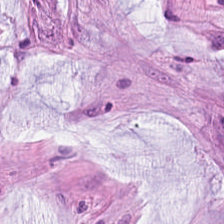Predominant tissue: mucus.
